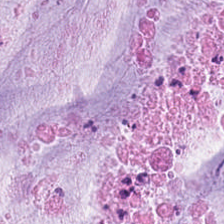Stain: hematoxylin and eosin.
Tile size: 224×224 px patch.
Preparation: FFPE tissue section.
Tissue class: extracellular mucin.
